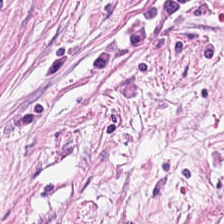Hematoxylin-and-eosin stained section. 224×224 px patch — Q: What type of tissue is this?
A: This is tumor-associated stroma.
